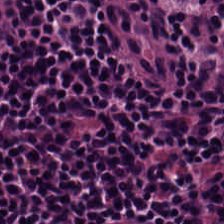Tissue = lymphocyte aggregate.
